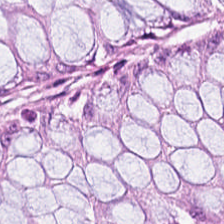Stain: H&E stain.
Tissue type: normal colon mucosa.
